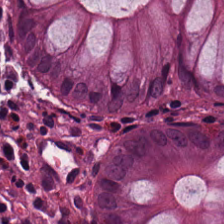Hematoxylin-and-eosin stained section. Histology — normal colonic mucosa.
